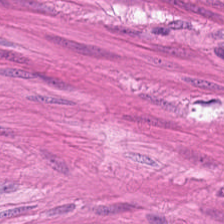Hematoxylin and eosin · 0.5 microns per pixel · 224×224 pixel tile — Predominantly smooth muscle.
